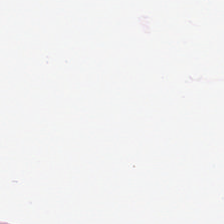H&E stain.
Adipose tissue.
